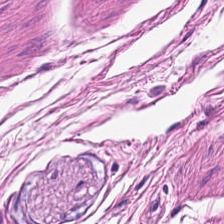H&E-stained tissue section.
Impression — smooth-muscle tissue.
